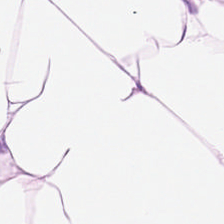Q: What is shown in this field?
A: It is fat tissue.
